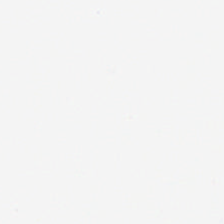H&E stain · FFPE. Q: What is shown here?
A: This is background (no tissue).
